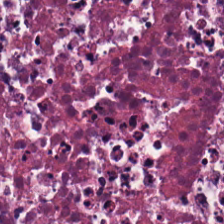The tissue here is debris.
